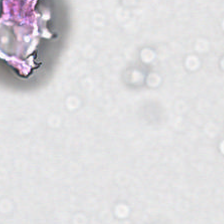Hematoxylin and eosin — Empty field — background.
